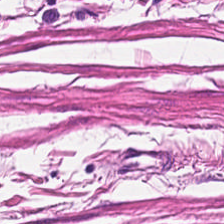H&E. Brightfield.
Predominantly muscularis.
